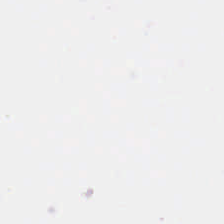FFPE tissue section · H&E · 0.5 µm/px. Background.
